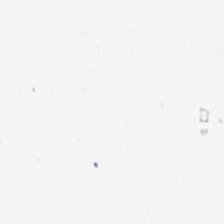H&E. Empty field — empty background.
